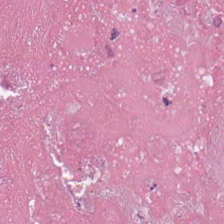Finding → debris.
